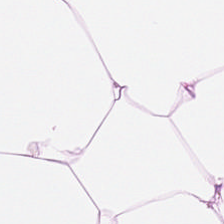This field is adipocytes.
